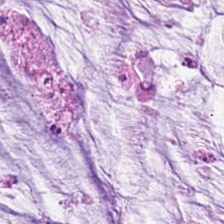224×224 px tile · H&E-stained tissue section · 0.5 µm/px.
Q: What is shown in this field?
A: This is extracellular mucin.
